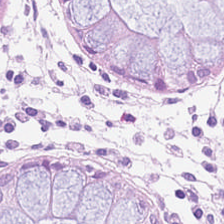H&E-stained tissue section. Tissue class: normal colon mucosa.
